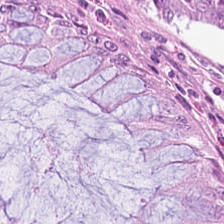0.5 microns per pixel. H&E-stained tissue section. Q: What is the predominant tissue type?
A: It is benign colonic mucosa.
